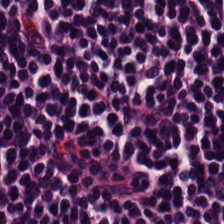Showing lymphocyte aggregate.
